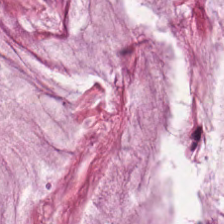The classification is mucin.
